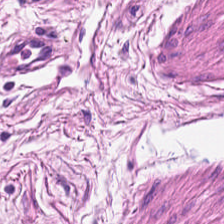Stain: H&E.
Acquisition: WSI patch.
Tissue: smooth-muscle tissue.
